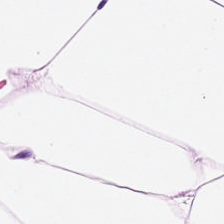H&E stain · 224×224 px patch.
Tissue: adipose tissue.
